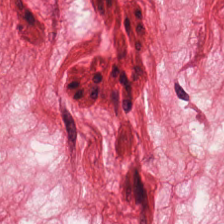H&E-stained section; the field shows muscularis.
